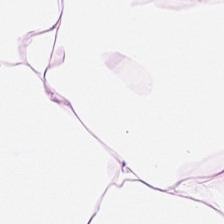Hematoxylin-and-eosin stained section. Showing fat tissue.
